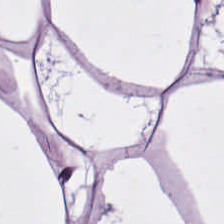Stain: H&E-stained tissue section.
Tissue class: adipose.
